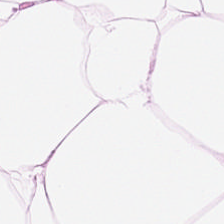Stain: hematoxylin and eosin.
Preparation: FFPE tissue section.
Tissue type: adipocytes.
